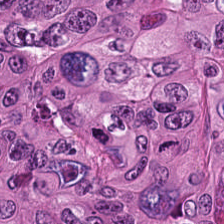H&E. Whole-slide-image patch.
Tissue — tumor epithelium.
